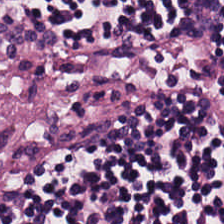H&E stain — Classification — lymphocytic infiltrate.
